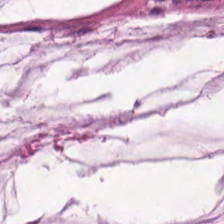224×224 px patch. Hematoxylin-and-eosin stained section — Finding — mucus.
